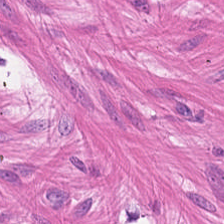Stain: hematoxylin-and-eosin stained section.
Tile size: 224×224 px patch.
Resolution: 0.5 microns per pixel.
Tissue class: smooth-muscle tissue.
